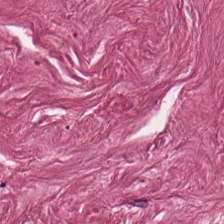Stain: hematoxylin and eosin.
Tissue class: tumor-associated stroma.
